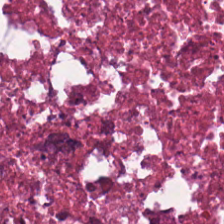Hematoxylin and eosin. The tissue here is necrotic debris.
